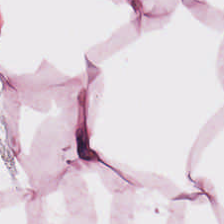H&E-stained tissue section. The tissue here is adipocytes.
